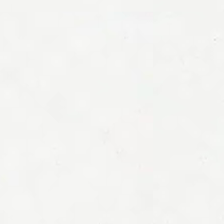The content is background.
